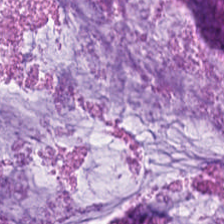Predominant tissue — extracellular mucin.
